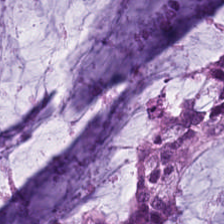Mucus.
